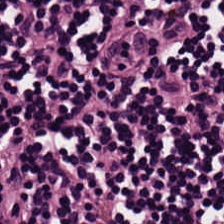H&E-stained tissue section; 224×224 pixel tile — The tissue here is lymphocyte aggregate.
